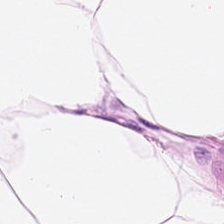Hematoxylin-and-eosin section: adipose tissue.
